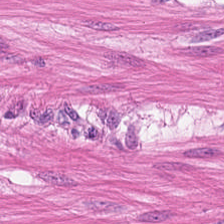224×224 pixel tile; H&E-stained tissue section. The predominant tissue is smooth muscle.
